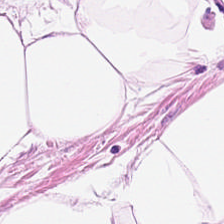H&E stain; 224×224 px tile.
This field is adipose tissue.
